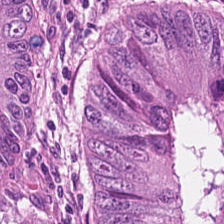Hematoxylin and eosin — Q: Identify the tissue.
A: It is colorectal adenocarcinoma.
